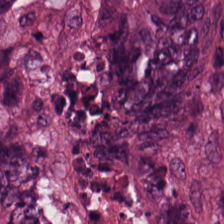224×224 px tile. FFPE. H&E-stained tissue section. This patch shows tumor epithelium.
